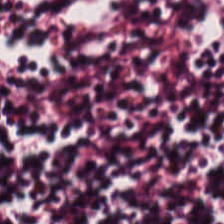The predominant tissue is lymphoid infiltrate.
